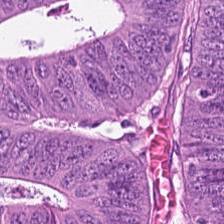H&E-stained tissue section.
This field is colorectal adenocarcinoma.
